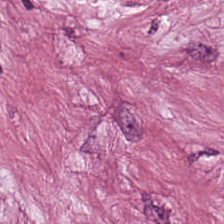H&E — tumor stroma.
